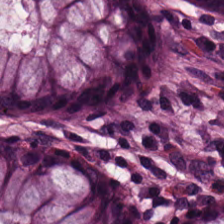H&E stain. 224×224 px patch. Q: What tissue is shown?
A: It is normal colon mucosa.
